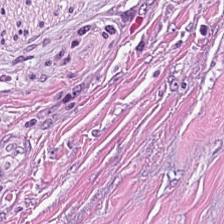{"tissue_type": "desmoplastic stroma"}
